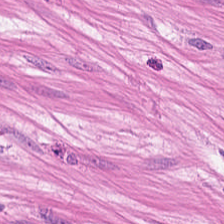Hematoxylin-and-eosin stained section.
Classification — muscularis.
